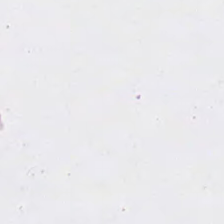Hematoxylin-and-eosin stained section — Background — no tissue in this field.
